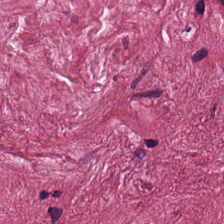H&E-stained tissue section. {"tissue_type": "tumor-associated stroma"}
